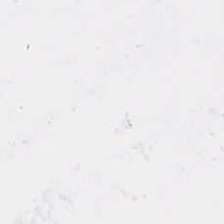H&E-stained tissue section. Empty field — empty background.
